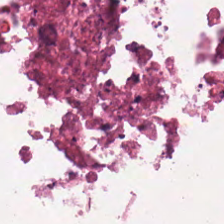H&E stain. Q: What tissue type is shown here?
A: This is cellular debris.
